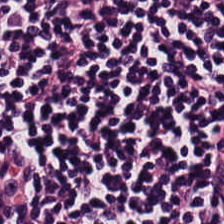Q: What type of tissue is this?
A: The field shows lymphoid infiltrate.
